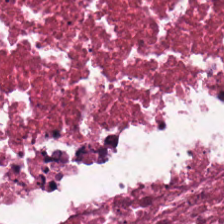H&E-stained tissue section. 224×224 pixel tile.
The predominant tissue is cellular debris.
